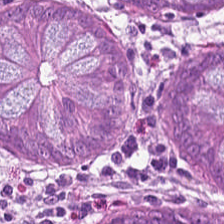Stain: H&E.
Tissue: normal colonic mucosa.
